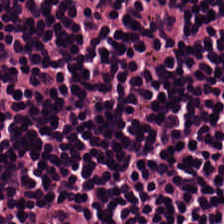WSI patch. Hematoxylin-and-eosin stained section. Lymphocytic infiltrate.
